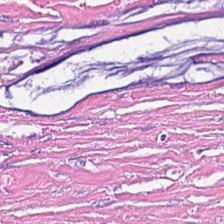Hematoxylin-and-eosin stained section — Tissue = tumor stroma.
